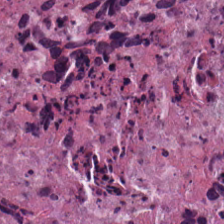This field is cellular debris.
